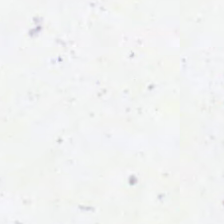H&E. 224×224 px patch — Impression — background (no tissue).
